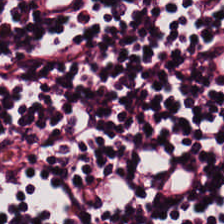H&E stain — Lymphoid infiltrate.
